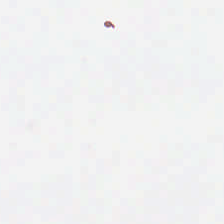The content is background.
